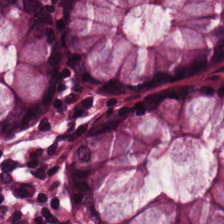Hematoxylin-and-eosin stained section — This patch shows normal colonic mucosa.
